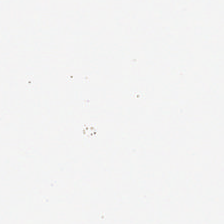H&E stain.
Field content — background (no tissue).
